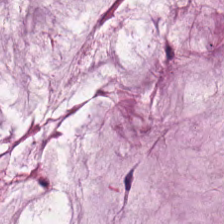Q: What is shown in this field?
A: This is extracellular mucin.
